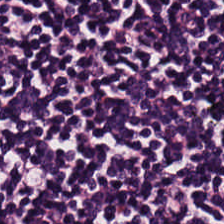Predominantly lymphocytic infiltrate.
